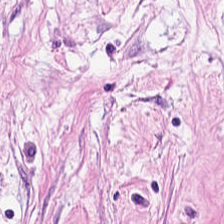Impression — tumor stroma.
